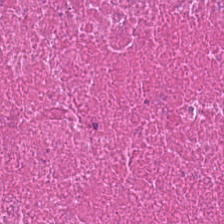H&E patch showing debris.
